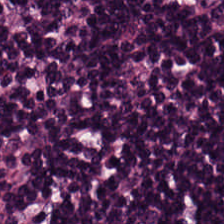Hematoxylin-and-eosin stained section.
The predominant tissue is lymphocytic infiltrate.
